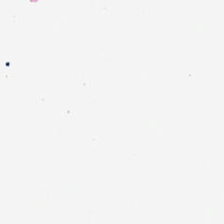Brightfield microscopy. H&E stain.
Q: What is shown here?
A: No tissue.
